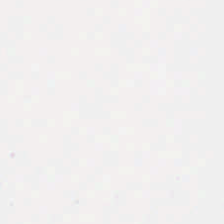H&E stain.
{"content": "background"}
